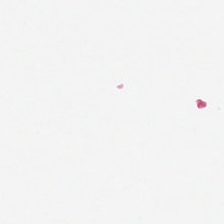Field content — background.
